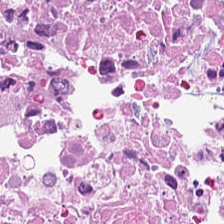Hematoxylin-and-eosin stained section.
Histology — debris.
